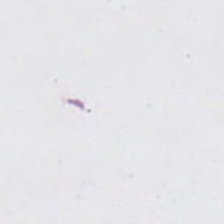Q: Classify this patch.
A: The field shows background (no tissue).
